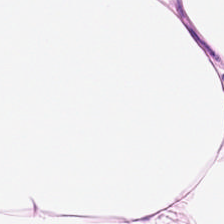H&E stain.
Tissue class — fat tissue.
